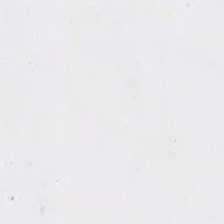H&E stain — Empty field — empty background.
